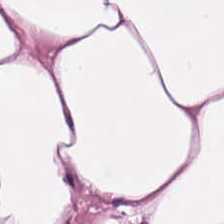Stain: hematoxylin and eosin.
Acquisition: whole-slide-image patch.
Tile size: 224×224 pixel tile.
Predominant tissue: adipocytes.
